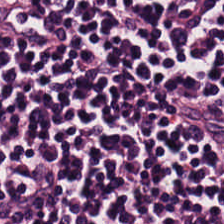Hematoxylin-and-eosin stained section · 0.5 microns per pixel.
Q: What is the predominant tissue type?
A: It is lymphocyte aggregate.
